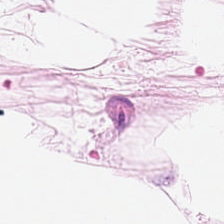The predominant tissue is fat tissue.
